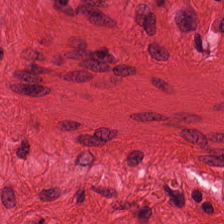H&E patch showing smooth-muscle tissue.
